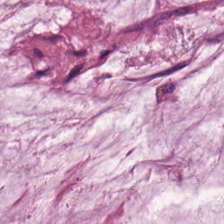Stain: hematoxylin-and-eosin stained section.
Tissue: mucin.
